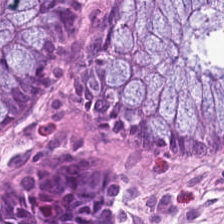H&E-stained tissue section — Tissue class: normal colon mucosa.
